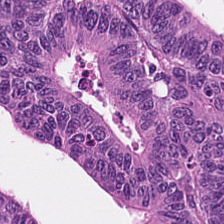H&E-stained section; the field shows adenocarcinoma.
